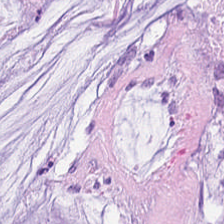Hematoxylin-and-eosin section: extracellular mucin.
